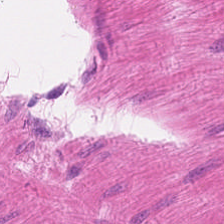Hematoxylin and eosin — This field is smooth muscle.
